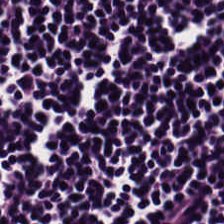224×224 px tile; H&E stain. This patch shows lymphocyte aggregate.
